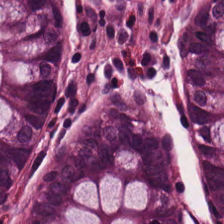H&E stain. The tissue here is normal colon mucosa.
